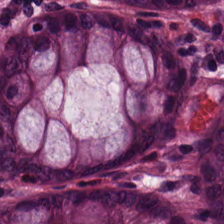Tissue — normal colon mucosa.
